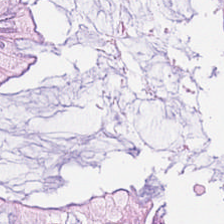Hematoxylin and eosin. {"tissue_type": "normal colon mucosa"}
